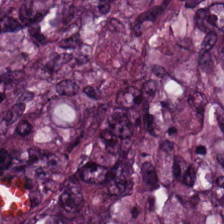H&E-stained tissue section. 224×224 px tile. 0.5 µm per pixel — The predominant tissue is colorectal adenocarcinoma epithelium.
